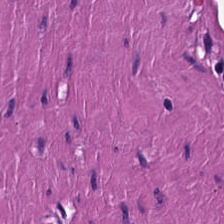H&E.
The classification is muscularis.
